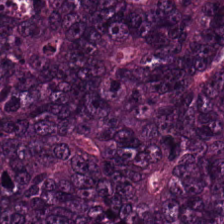H&E-stained tissue section — Q: What type of tissue is this?
A: This is colorectal adenocarcinoma.
